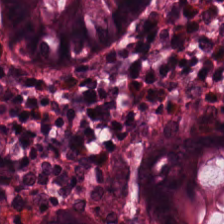0.5 microns per pixel; H&E stain — The tissue here is normal colon mucosa.
